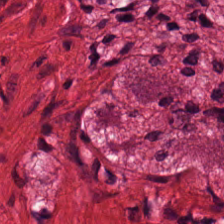H&E stain; 224×224 px patch.
Classification: muscularis.
